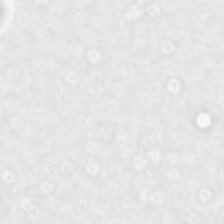{"content": "background (no tissue)"}
